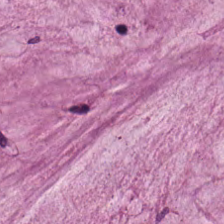Stain: H&E-stained tissue section.
Acquisition: brightfield.
Preparation: formalin-fixed paraffin-embedded section.
Classification: extracellular mucin.
